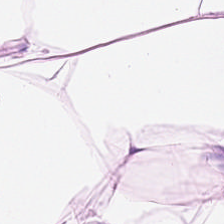H&E stain — The predominant tissue is adipocytes.
